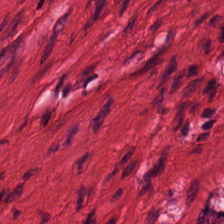Stain: hematoxylin-and-eosin stained section.
Tissue class: muscularis.
